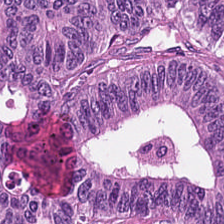{"tissue_type": "tumor epithelium"}
